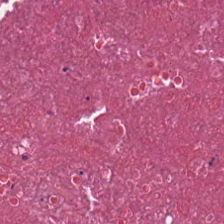H&E stain · 224×224 px patch. This field is debris.
